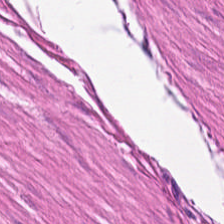Stain: H&E.
Preparation: FFPE.
Predominant tissue: smooth muscle.
